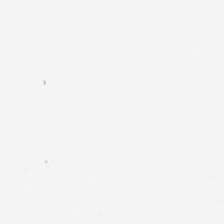Hematoxylin and eosin.
Field content — background.
